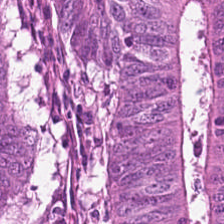Stain: H&E.
Tissue type: colorectal adenocarcinoma epithelium.
